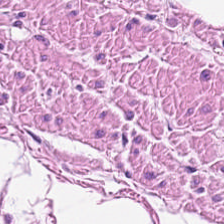Hematoxylin and eosin — Impression — smooth muscle.
